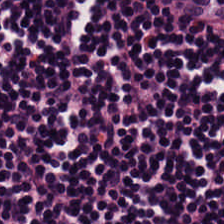H&E stain.
This field is lymphocyte aggregate.
